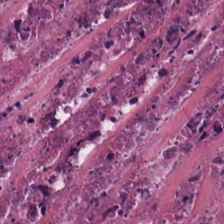Stain: H&E.
Tile size: 224×224 pixel tile.
Predominant tissue: debris.
